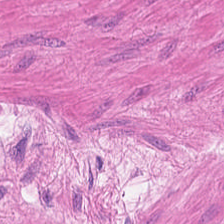H&E stain.
Histology — smooth muscle.
